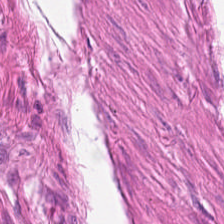H&E stain · brightfield microscopy.
The tissue is smooth-muscle tissue.
